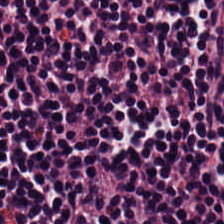Hematoxylin and eosin · FFPE tissue section.
Q: What tissue is shown?
A: This is lymphocytic infiltrate.
